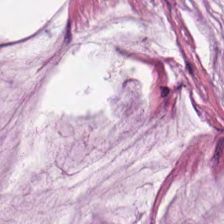H&E stain. The classification is mucin.
